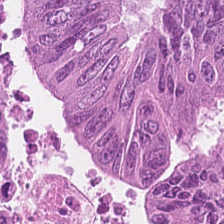H&E. WSI patch.
Finding — colorectal adenocarcinoma.
